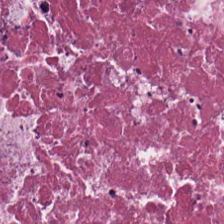Hematoxylin and eosin. WSI patch. Q: What tissue type is shown here?
A: It is necrotic debris.
